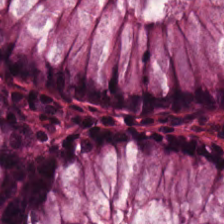H&E — Tissue class: benign colonic mucosa.
